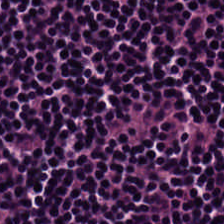Stain: hematoxylin-and-eosin stained section.
Tissue type: lymphocytes.
